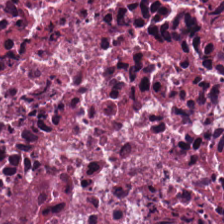Stain: hematoxylin and eosin.
Tissue type: cellular debris.
